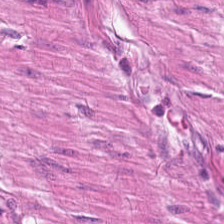H&E stain — Predominant tissue: smooth-muscle tissue.
